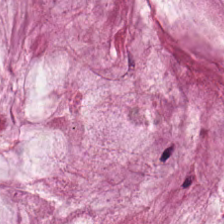This field is extracellular mucin.
